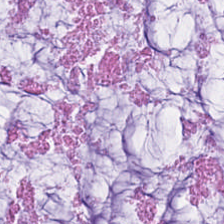H&E stain — {"tissue_type": "extracellular mucin"}
